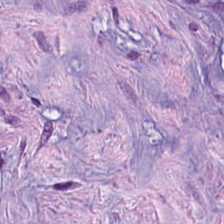{"tissue_type": "tumor-associated stroma"}
